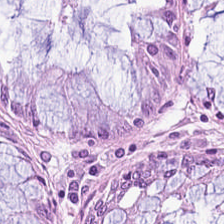Hematoxylin and eosin — The tissue class is benign colonic mucosa.
